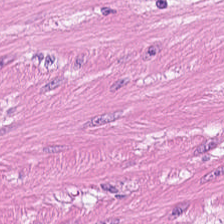Stain: H&E stain.
Tissue: smooth muscle.
